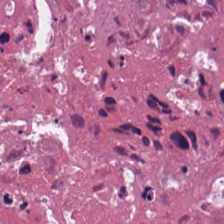H&E-stained tissue section.
This field is necrotic debris.
